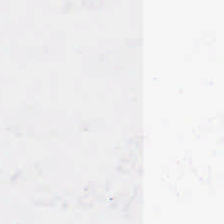Stain: H&E stain.
Field content: background (no tissue).
